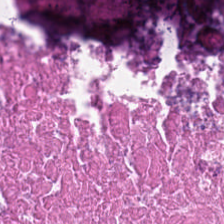H&E-stained tissue section. Tissue = debris.
